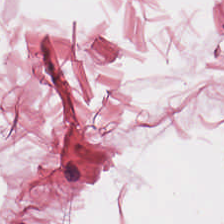WSI patch · hematoxylin and eosin — {"tissue_type": "fat tissue"}
